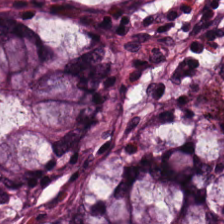H&E stain. Brightfield microscopy. FFPE. Classification = non-neoplastic colon mucosa.
